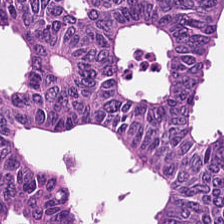H&E-stained tissue section.
Tissue class: malignant epithelium.
